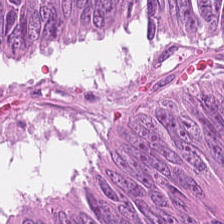Hematoxylin-and-eosin stained section. FFPE tissue section.
Q: Identify the tissue.
A: It is colorectal adenocarcinoma.
